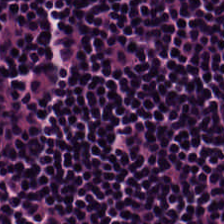Brightfield · FFPE · hematoxylin-and-eosin stained section. This patch shows lymphocytic infiltrate.
